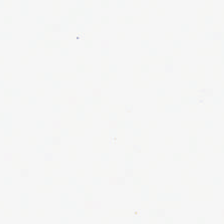H&E-stained tissue section. No tissue present; background only.
